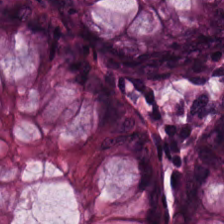Predominant tissue = non-neoplastic colon mucosa.
